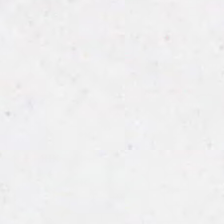Hematoxylin and eosin. FFPE tissue section. Empty field — background.
